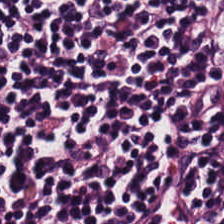H&E stain. Predominantly lymphocyte aggregate.
